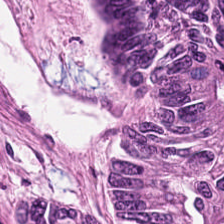H&E stain.
Adenocarcinoma.
